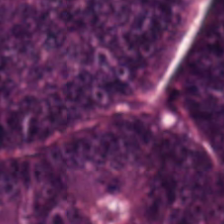Hematoxylin-and-eosin stained section. FFPE — Showing colorectal adenocarcinoma.
